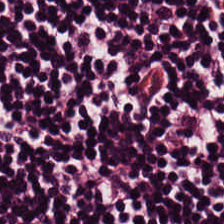H&E-stained tissue section; brightfield — This patch shows lymphocyte aggregate.
